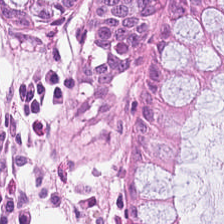Hematoxylin-and-eosin stained section. Benign colonic mucosa.
